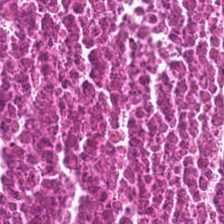H&E-stained tissue section; 224×224 px patch — Predominant tissue = cellular debris.
